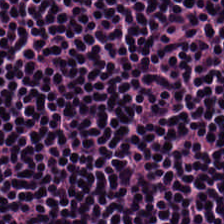{"tissue_type": "lymphocytes"}
